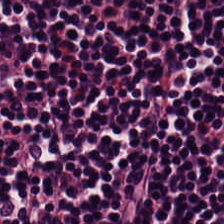H&E stain. The predominant tissue is lymphocyte aggregate.
